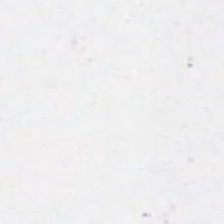This field is background (no tissue).
